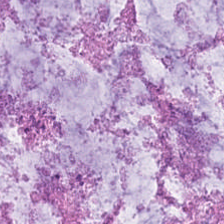{"tissue_type": "mucin"}
